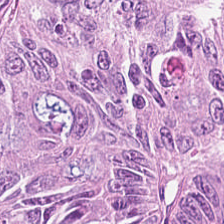H&E stain. Predominant tissue: colorectal adenocarcinoma epithelium.
